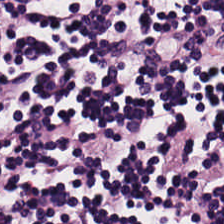Hematoxylin and eosin.
Tissue type — lymphocytes.
